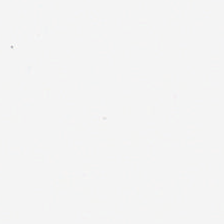This field is background (no tissue).
